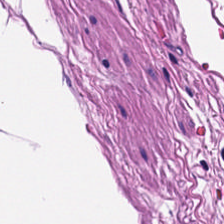H&E stain.
Impression → smooth-muscle tissue.
